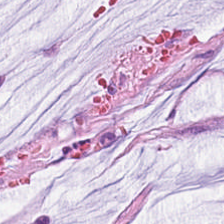Stain: hematoxylin-and-eosin stained section.
Classification: mucin.
